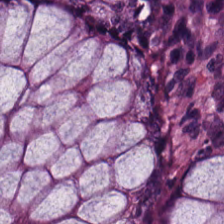Hematoxylin-and-eosin stained section; whole-slide-image patch; FFPE.
Q: What is the predominant tissue type?
A: Normal colon mucosa.
